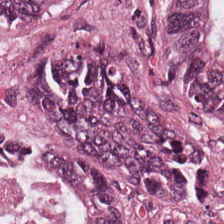0.5 µm/px. H&E stain — Predominantly colorectal adenocarcinoma.
